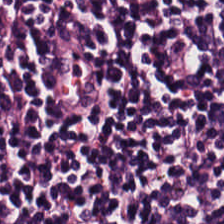The predominant tissue is lymphocytic infiltrate.
